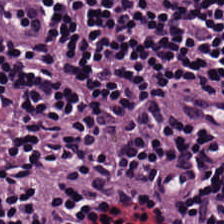H&E — Showing lymphocytic infiltrate.
